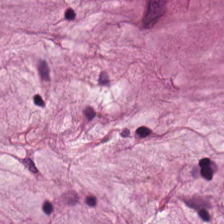224×224 px patch. H&E-stained tissue section — Predominantly mucin.
